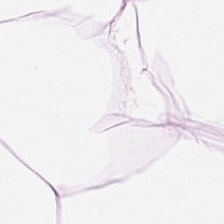Hematoxylin-and-eosin stained section.
Q: Identify the tissue.
A: Adipose.
